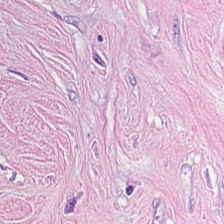H&E stain; brightfield microscopy.
The tissue class is desmoplastic stroma.
